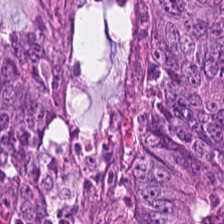H&E-stained tissue section — This field is tumor epithelium.
